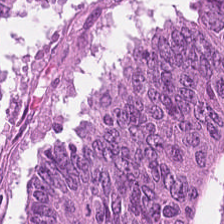0.5 µm per pixel; hematoxylin-and-eosin stained section; FFPE tissue section — Showing colorectal adenocarcinoma.
